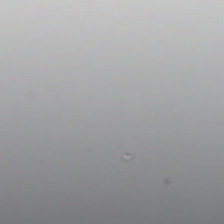Hematoxylin-and-eosin stained section · 0.5 microns per pixel — The content is empty background.
